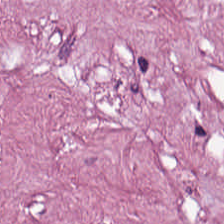Hematoxylin-and-eosin stained section — Q: What tissue type is shown here?
A: This is tumor stroma.
